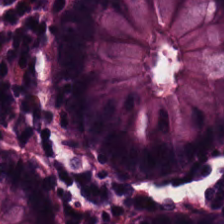Hematoxylin-and-eosin stained section. 0.5 µm per pixel. The tissue here is benign colonic mucosa.
